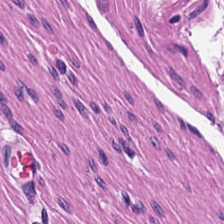H&E stain; formalin-fixed paraffin-embedded section.
The predominant tissue is muscularis.
